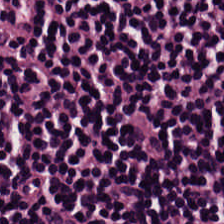Hematoxylin and eosin.
Impression → lymphocyte aggregate.
